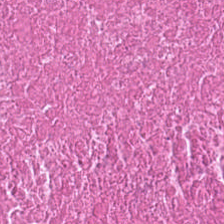Hematoxylin and eosin. Tissue class = debris.
